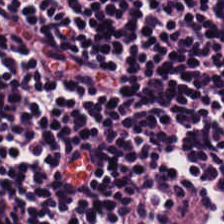Q: What tissue is shown?
A: Lymphocytic infiltrate.
